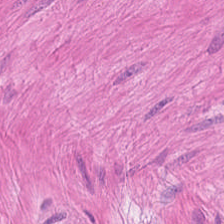Hematoxylin-and-eosin stained section. 20× equivalent magnification. WSI patch. This patch shows smooth-muscle tissue.
